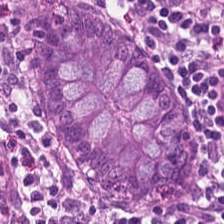FFPE · H&E — The tissue type is normal colon mucosa.
